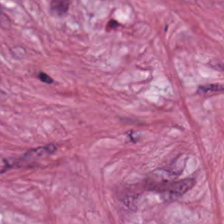Impression → tumor stroma.
